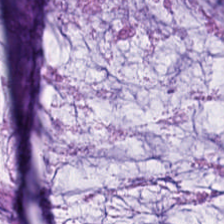H&E-stained tissue section. 224×224 pixel tile. FFPE tissue section — Impression — mucin.
